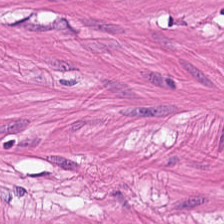{"tissue_type": "muscularis"}
